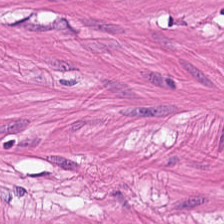{"tissue_type": "muscularis"}
